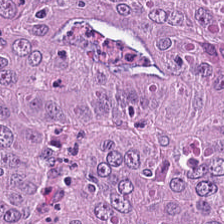Showing adenocarcinoma.
